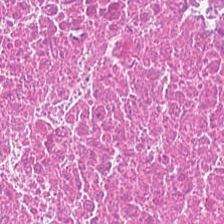H&E-stained tissue section. Brightfield microscopy — Showing debris.
